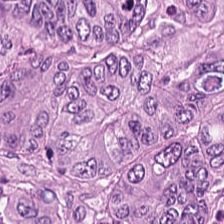H&E-stained tissue section. The predominant tissue is malignant epithelium.
